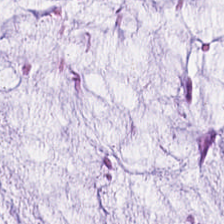Hematoxylin and eosin · 0.5 µm per pixel. Q: What is shown here?
A: This is extracellular mucin.
